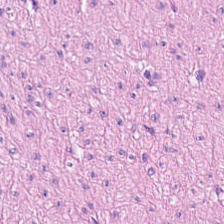H&E-stained tissue section.
{"tissue_type": "muscularis"}
